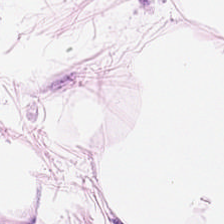Hematoxylin-and-eosin stained section — Predominantly fat tissue.
